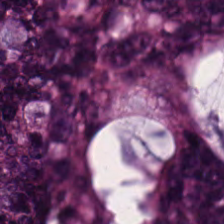Hematoxylin-and-eosin stained section. FFPE tissue section.
Malignant epithelium.
